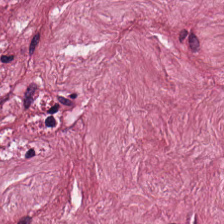H&E — The classification is tumor stroma.
